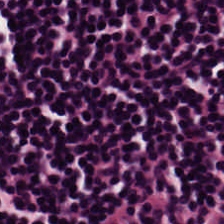H&E; formalin-fixed paraffin-embedded section.
Predominantly lymphoid infiltrate.
